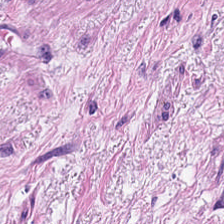WSI patch · 224×224 px patch · H&E stain — This patch shows smooth muscle.
